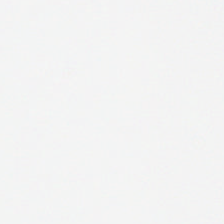H&E-stained tissue section — The field content is background.
